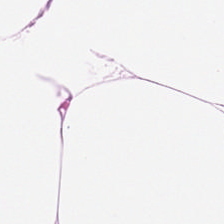H&E-stained tissue section.
Predominantly adipose tissue.
